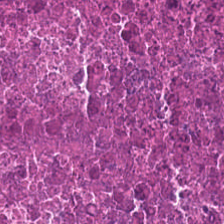H&E-stained tissue section; 0.5 µm/px; FFPE tissue section — Showing necrotic debris.
